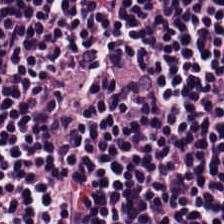H&E stain. Histology — lymphoid infiltrate.
